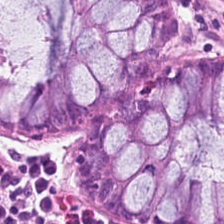20× equivalent magnification · hematoxylin-and-eosin stained section. Impression — normal colonic mucosa.
